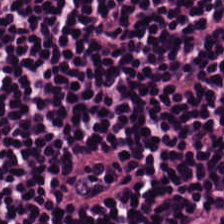H&E. Predominantly lymphocytic infiltrate.
